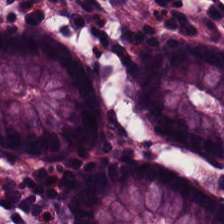Hematoxylin-and-eosin stained section. This field is normal colonic mucosa.
